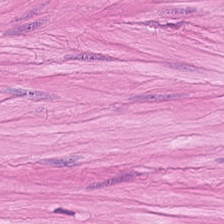Predominantly smooth muscle.
